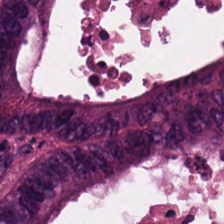Hematoxylin-and-eosin stained section. Malignant epithelium.
